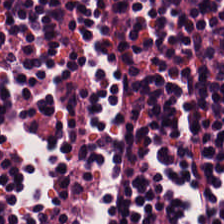Stain: H&E stain.
Tissue class: lymphocyte aggregate.
